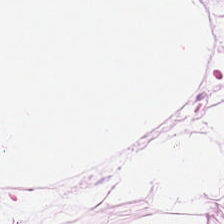Brightfield microscopy. Hematoxylin and eosin. 224×224 pixel tile. Showing adipocytes.
